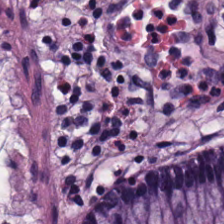H&E-stained section; the field shows non-neoplastic colon mucosa.
